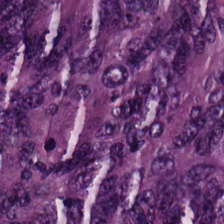H&E-stained tissue section · 0.5 µm/px.
Predominant tissue = colorectal adenocarcinoma epithelium.
